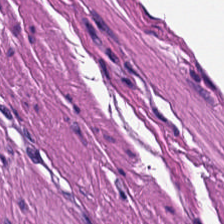Q: What is shown in this field?
A: It is smooth muscle.
